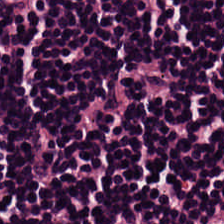WSI patch; H&E — Showing lymphoid infiltrate.
